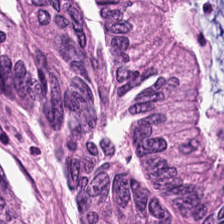FFPE tissue section · 224×224 px patch · H&E-stained tissue section. This patch shows colorectal adenocarcinoma epithelium.
